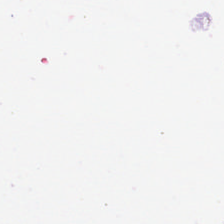H&E — Q: What is shown in this field?
A: Background.
